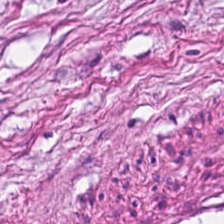H&E stain.
The predominant tissue is desmoplastic stroma.
